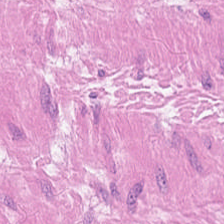Hematoxylin-and-eosin stained section — This patch shows smooth muscle.
